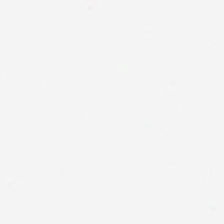Hematoxylin and eosin. Field content = empty background.
